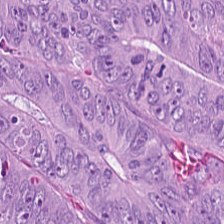Malignant epithelium.
